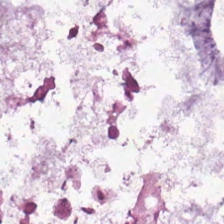Histology → mucus.
